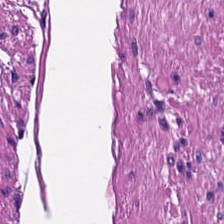Hematoxylin-and-eosin section: smooth muscle.
